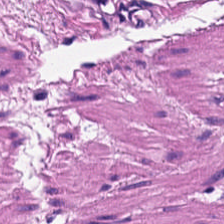Showing smooth-muscle tissue.
